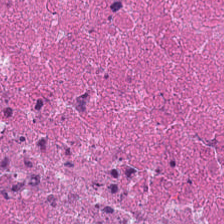Stain: hematoxylin-and-eosin stained section.
Classification: debris.
